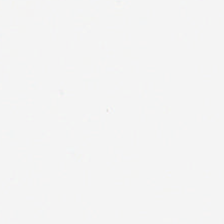Hematoxylin-and-eosin stained section.
The field content is empty background.
